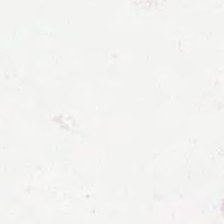This patch shows background.
